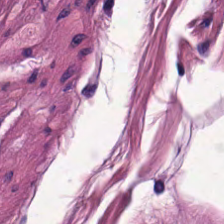H&E-stained tissue section — The tissue here is smooth muscle.
